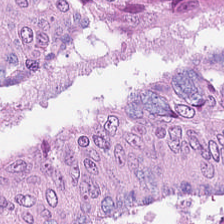H&E stain · 224×224 pixel tile.
This patch shows tumor epithelium.
